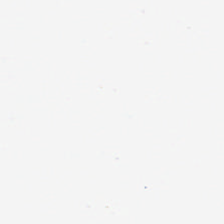This field is background (no tissue).
